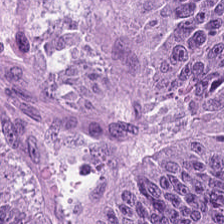H&E-stained tissue section; formalin-fixed paraffin-embedded section; brightfield. Malignant epithelium.
